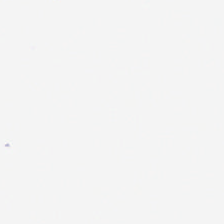224×224 px tile · H&E. Q: What is shown in this field?
A: Background.
